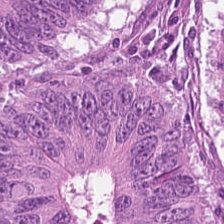Tissue class — colorectal adenocarcinoma epithelium.
